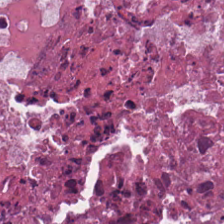H&E-stained tissue section. 224×224 px tile — Finding → cellular debris.
